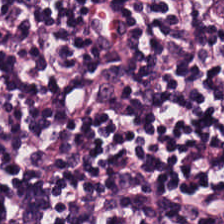H&E patch showing lymphocytes.
